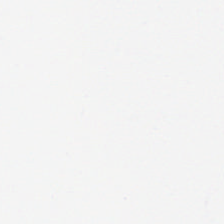This field is background (no tissue).
